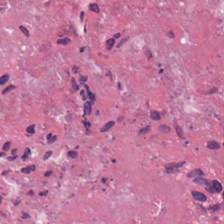Stain: H&E-stained tissue section.
Classification: cellular debris.
